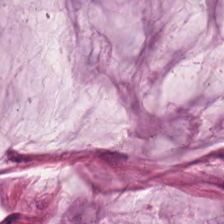Hematoxylin-and-eosin stained section. Classification: mucin.
